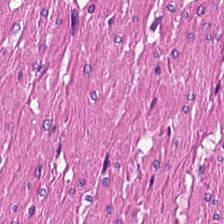H&E stain. Q: What type of tissue is this?
A: This is smooth-muscle tissue.
